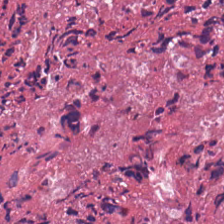Q: What type of tissue is this?
A: It is debris.
